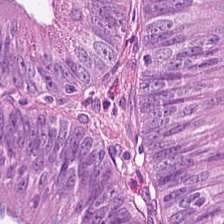Brightfield microscopy; hematoxylin and eosin.
Showing tumor epithelium.
